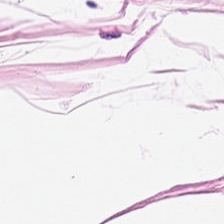Hematoxylin and eosin · 0.5 microns per pixel — Q: Identify the tissue.
A: It is adipocytes.
